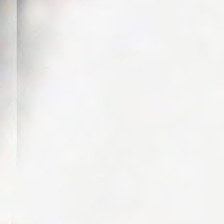Stain: hematoxylin and eosin.
Field content: background (no tissue).
